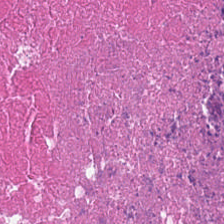Tissue type: cellular debris.
